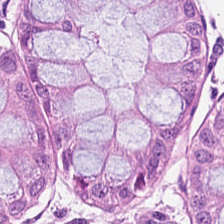Hematoxylin-and-eosin stained section. Predominant tissue = normal colon mucosa.
